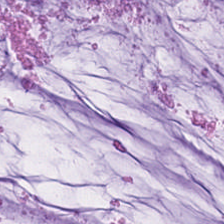Hematoxylin and eosin.
Impression → extracellular mucin.
